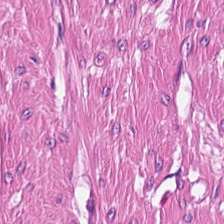Whole-slide-image patch. H&E.
The predominant tissue is muscularis.
